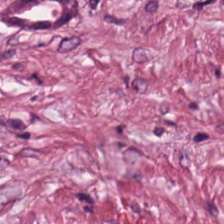H&E stain — Q: What is shown here?
A: The field shows tumor stroma.
